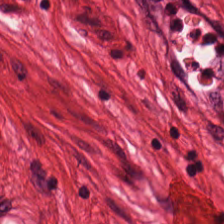{"tissue_type": "muscularis"}
